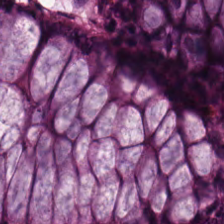0.5 µm per pixel; H&E stain.
Q: What does this patch show?
A: It is normal colon mucosa.
